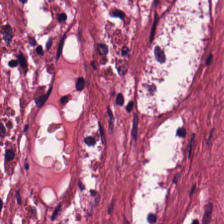The tissue here is desmoplastic stroma.
